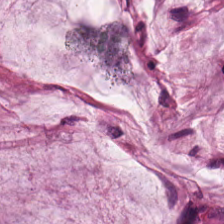Stain: hematoxylin-and-eosin stained section.
Tile size: 224×224 px tile.
Preparation: formalin-fixed paraffin-embedded section.
Tissue class: mucin.
